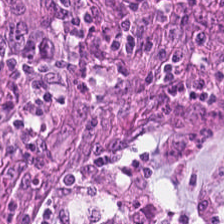Hematoxylin and eosin.
The tissue is adenocarcinoma.
